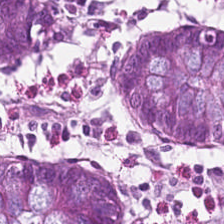Hematoxylin and eosin.
Tissue class = benign colonic mucosa.
